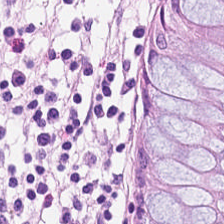Hematoxylin and eosin.
Q: What does this patch show?
A: It is normal colon mucosa.
